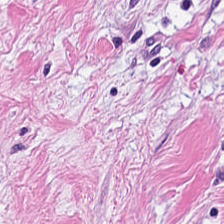Stain: H&E-stained tissue section.
Acquisition: WSI patch.
Preparation: FFPE tissue section.
Tissue class: tumor-associated stroma.
